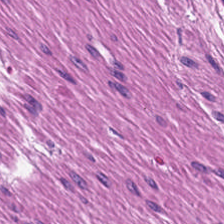Brightfield · 224×224 px patch · H&E.
Q: What type of tissue is this?
A: It is smooth-muscle tissue.
